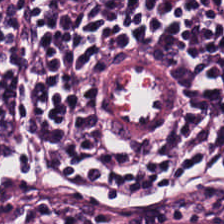Q: Identify the tissue.
A: The field shows lymphocyte aggregate.
